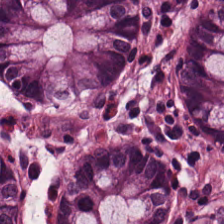Hematoxylin-and-eosin stained section. Tissue class — normal colonic mucosa.
